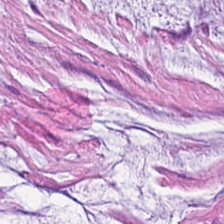H&E — The tissue type is extracellular mucin.
